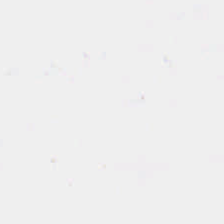FFPE; H&E stain.
Field content — no tissue.
